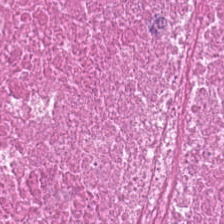Brightfield. H&E. This patch shows debris.
